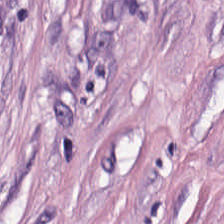20× equivalent magnification; H&E-stained tissue section.
This patch shows tumor-associated stroma.
